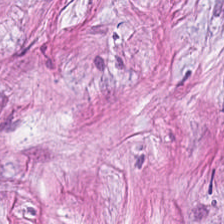H&E. {"tissue_type": "tumor stroma"}
